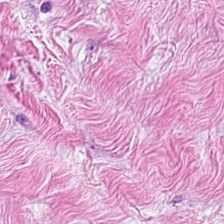Q: What is shown here?
A: It is tumor-associated stroma.
